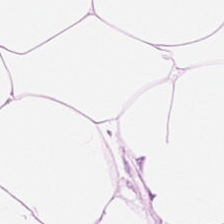Stain: H&E stain.
Tissue class: fat tissue.
